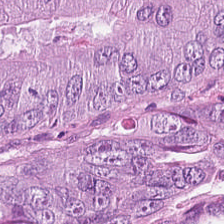Stain: hematoxylin and eosin.
Resolution: 0.5 microns per pixel.
Tile size: 224×224 px patch.
Classification: malignant epithelium.
